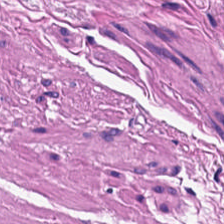The tissue here is muscularis.
